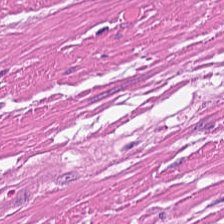Hematoxylin and eosin. Formalin-fixed paraffin-embedded section. 224×224 px patch.
Histology — smooth muscle.
